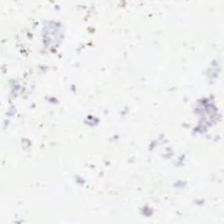224×224 px tile · H&E stain · WSI patch.
This patch shows background (no tissue).
